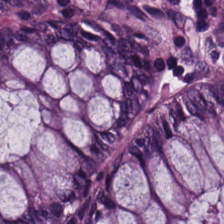Stain: hematoxylin-and-eosin stained section.
Tissue class: non-neoplastic colon mucosa.
